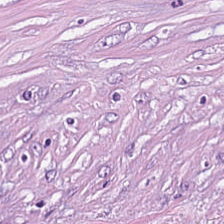Brightfield microscopy. Hematoxylin-and-eosin stained section.
Cancer-associated stroma.
